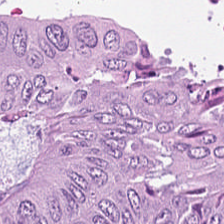H&E-stained tissue section · 20× equivalent magnification · 224×224 px patch — Predominant tissue = colorectal adenocarcinoma epithelium.
